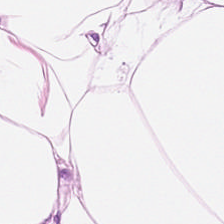The tissue class is adipose.
